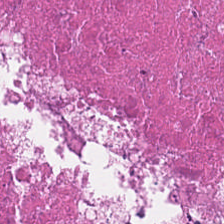H&E-stained tissue section · FFPE.
This patch shows necrotic debris.
